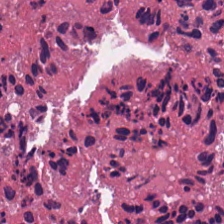224×224 px patch. Hematoxylin and eosin. Tissue class — debris.
